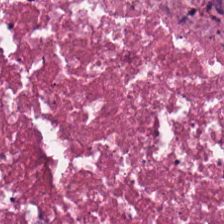H&E.
Classification = necrotic debris.
